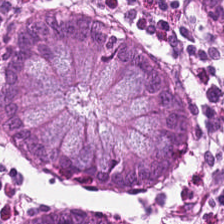H&E patch showing benign colonic mucosa.
